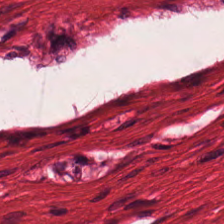Stain: hematoxylin and eosin.
Classification: muscularis.
